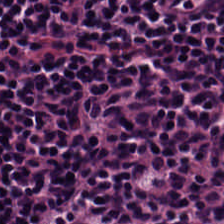Stain: H&E-stained tissue section.
Acquisition: whole-slide-image patch.
Tissue class: lymphocyte aggregate.
